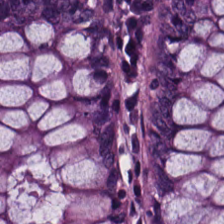Tissue type: non-neoplastic colon mucosa.
